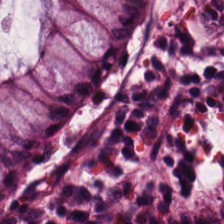Hematoxylin and eosin · 224×224 pixel tile · FFPE. Predominant tissue — normal colonic mucosa.
